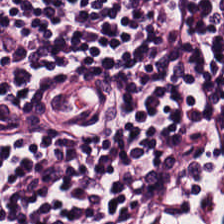The classification is lymphocyte aggregate.
